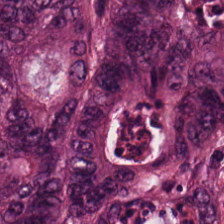0.5 µm per pixel; H&E-stained tissue section. Q: Identify the tissue.
A: It is malignant epithelium.
